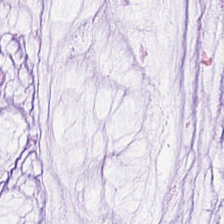Stain: H&E stain.
Tissue type: extracellular mucin.
